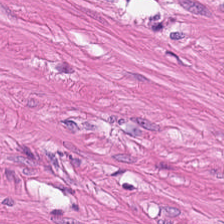224×224 pixel tile; H&E.
Showing muscularis.
